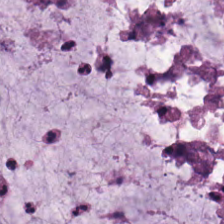Q: What tissue is shown?
A: This is mucin.
